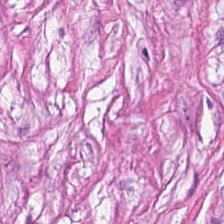Stain: H&E.
Predominant tissue: desmoplastic stroma.
